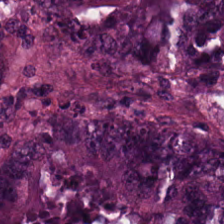Hematoxylin-and-eosin stained section. Formalin-fixed paraffin-embedded section.
Q: What is shown here?
A: This is colorectal adenocarcinoma.
